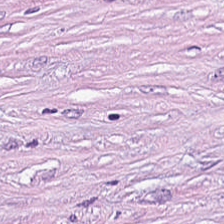H&E-stained tissue section; 224×224 px patch; 0.5 microns per pixel — Tissue = tumor-associated stroma.
